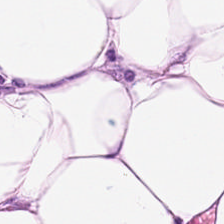Hematoxylin-and-eosin stained section — Fat tissue.
